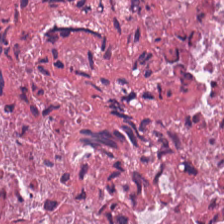H&E.
Finding → debris.
